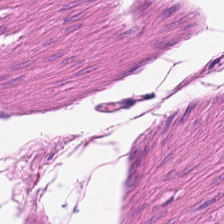H&E — Histology — smooth-muscle tissue.
